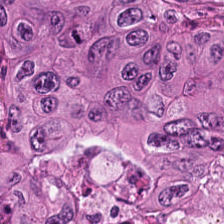0.5 µm/px. Whole-slide-image patch. Hematoxylin and eosin.
Predominantly adenocarcinoma.
